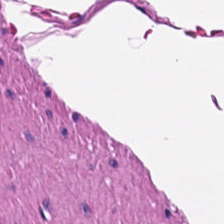H&E-stained tissue section.
Showing smooth muscle.
